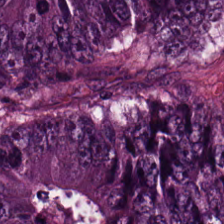{"tissue_type": "adenocarcinoma"}
